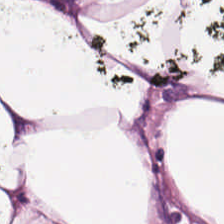Hematoxylin-and-eosin stained section.
Finding — adipocytes.
